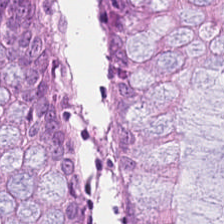H&E-stained tissue section.
The predominant tissue is benign colonic mucosa.
